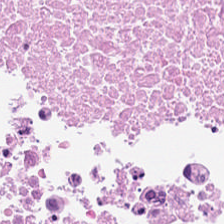H&E-stained tissue section. 224×224 px patch. Necrotic debris.
